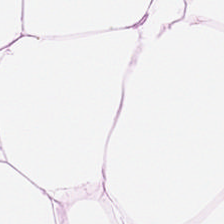Tissue class: adipose tissue.
